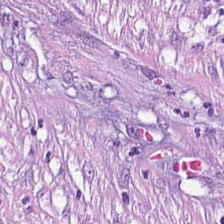0.5 µm/px; brightfield microscopy; hematoxylin-and-eosin stained section.
Impression → tumor-associated stroma.
